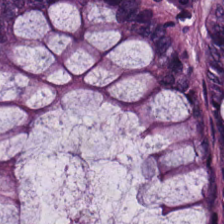H&E; 0.5 microns per pixel.
Predominant tissue: non-neoplastic colon mucosa.
